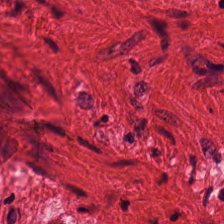H&E-stained tissue section; 224×224 pixel tile. Predominantly smooth-muscle tissue.
